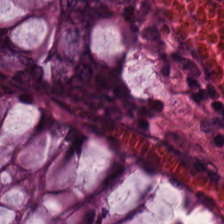224×224 pixel tile. H&E stain. FFPE. Tissue — benign colonic mucosa.
